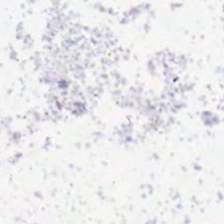H&E.
No tissue present; background only.
